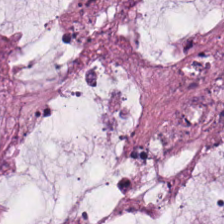H&E.
Tissue type: mucin.
